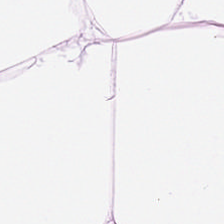Q: Identify the tissue.
A: This is adipose tissue.
